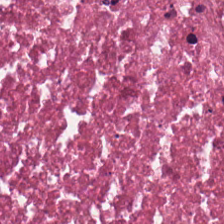H&E-stained tissue section; whole-slide-image patch; 0.5 µm per pixel.
{"tissue_type": "debris"}
